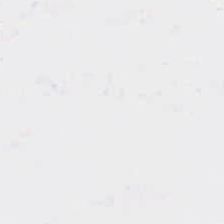FFPE · H&E stain — Classification — empty background.
